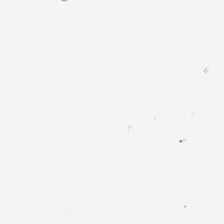Hematoxylin and eosin — Q: What does this patch show?
A: Background.
